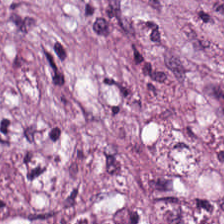Hematoxylin and eosin · 224×224 px patch · 20× equivalent magnification. This patch shows desmoplastic stroma.
